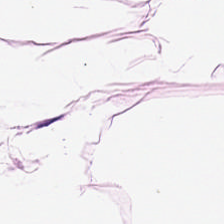H&E stain.
Showing adipose tissue.
